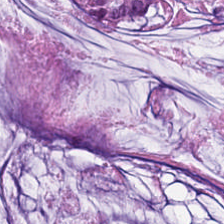WSI patch · hematoxylin and eosin.
The tissue is mucin.
